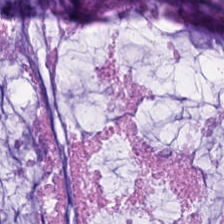Q: What does this patch show?
A: The field shows mucin.
